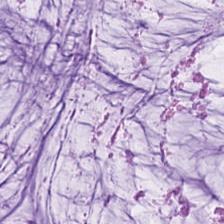Stain: hematoxylin-and-eosin stained section.
Tissue: mucin.
